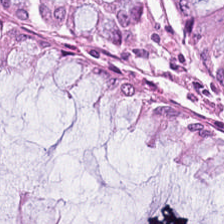Hematoxylin-and-eosin section: normal colon mucosa.
